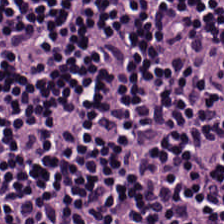Brightfield; hematoxylin and eosin. This patch shows lymphocyte aggregate.
